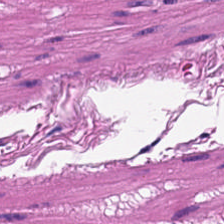Stain: hematoxylin-and-eosin stained section.
Tissue: smooth-muscle tissue.
